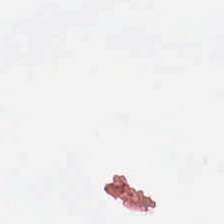224×224 px tile; H&E stain. Classification = empty background.
